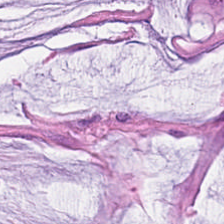H&E stain. The predominant tissue is mucin.
